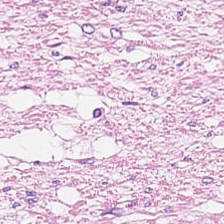0.5 µm/px. Hematoxylin-and-eosin stained section — Tissue = smooth muscle.
